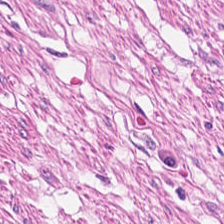H&E. FFPE tissue section — Showing smooth-muscle tissue.
